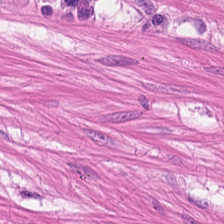H&E · WSI patch. Showing smooth muscle.
